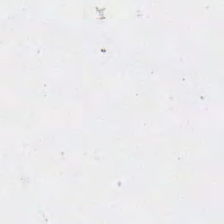The classification is no tissue.
